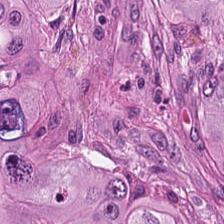H&E. 224×224 px tile. The predominant tissue is colorectal adenocarcinoma.
